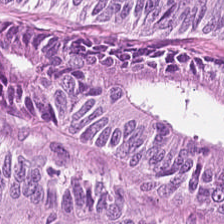224×224 px tile. H&E. 0.5 µm per pixel. The classification is colorectal adenocarcinoma.
